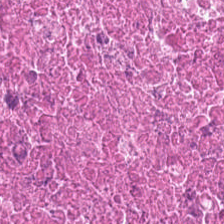Stain: hematoxylin-and-eosin stained section.
Classification: necrotic debris.
